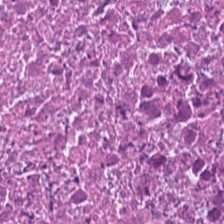Hematoxylin and eosin.
Showing necrotic debris.
